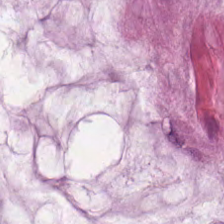224×224 px patch; brightfield microscopy; hematoxylin-and-eosin stained section.
The predominant tissue is mucin.
